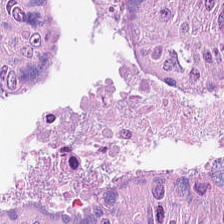Hematoxylin and eosin — The tissue type is adenocarcinoma.
